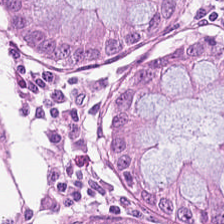Q: What type of tissue is this?
A: Non-neoplastic colon mucosa.
